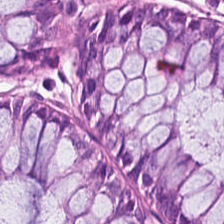Hematoxylin-and-eosin stained section — Q: What type of tissue is this?
A: The field shows benign colonic mucosa.
